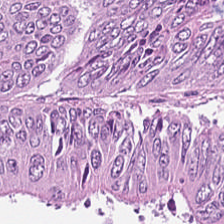H&E-stained tissue section. Tissue class = tumor epithelium.
